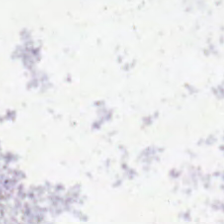Hematoxylin-and-eosin stained section — The content is no tissue.
